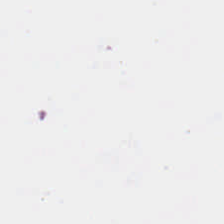H&E stain. Background — no tissue in this field.
